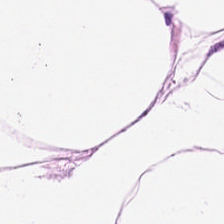Stain: hematoxylin and eosin.
Classification: adipocytes.
